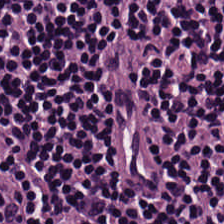FFPE tissue section; H&E stain; 224×224 px tile — Tissue type = lymphoid infiltrate.
